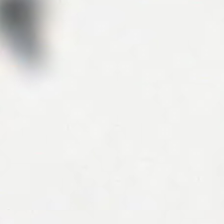H&E-stained tissue section · FFPE tissue section — Background.
